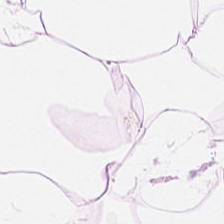Stain: H&E stain.
Preparation: FFPE tissue section.
Tissue type: adipose tissue.
